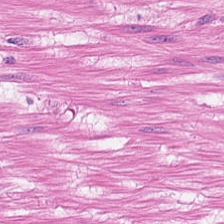Smooth muscle.
